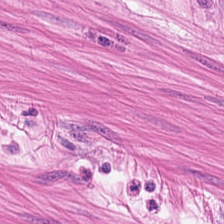Predominant tissue: smooth-muscle tissue.
